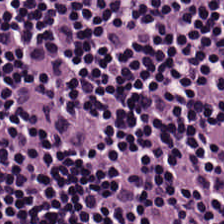Stain: hematoxylin-and-eosin stained section.
Preparation: FFPE tissue section.
Tissue type: lymphocytes.
